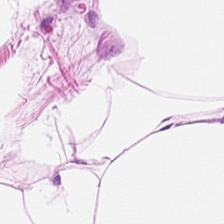Hematoxylin-and-eosin stained section — Q: What tissue type is shown here?
A: It is adipocytes.
